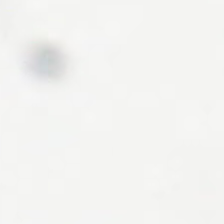H&E-stained tissue section — Empty background.
